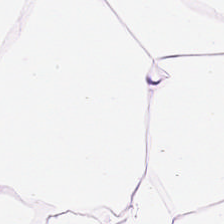20× equivalent magnification · hematoxylin-and-eosin stained section · 224×224 pixel tile — Showing adipose tissue.
